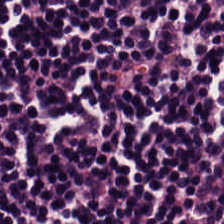Classification — lymphocyte aggregate.
